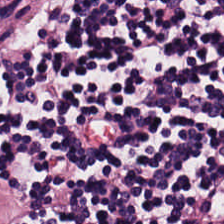FFPE tissue section · hematoxylin-and-eosin stained section. Showing lymphocyte aggregate.
